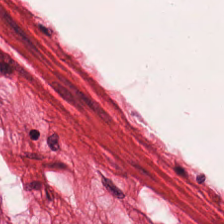H&E.
Muscularis.
